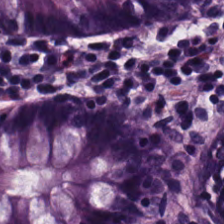Stain: hematoxylin-and-eosin stained section.
Tissue type: non-neoplastic colon mucosa.
